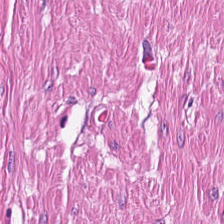Hematoxylin and eosin · formalin-fixed paraffin-embedded section. Smooth muscle.
